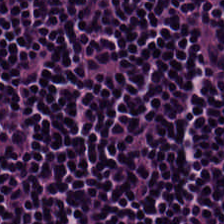H&E.
Finding → lymphocytic infiltrate.
